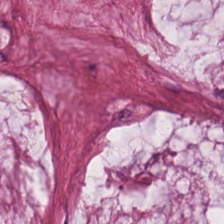Brightfield microscopy. H&E-stained tissue section.
This field is extracellular mucin.
